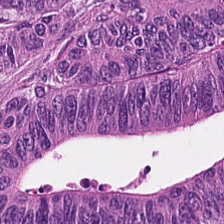Malignant epithelium.
